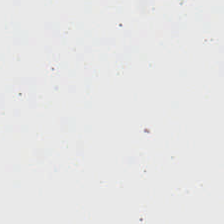Stain: hematoxylin and eosin.
Preparation: FFPE.
Classification: empty background.
